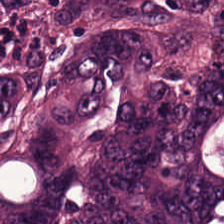H&E-stained tissue section — Showing malignant epithelium.
